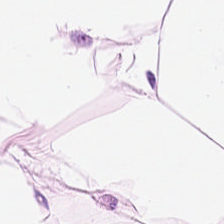Predominant tissue = adipose tissue.
